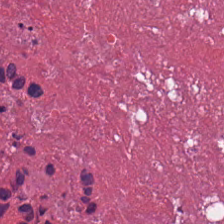H&E-stained section; the field shows cellular debris.
